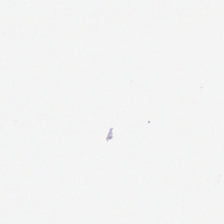Q: Classify this patch.
A: This is no tissue.
